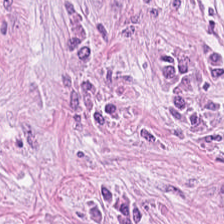Stain: hematoxylin and eosin.
Tissue class: cancer-associated stroma.
